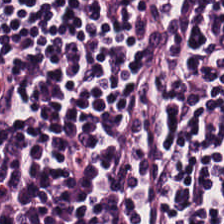20× equivalent magnification; 224×224 pixel tile; hematoxylin-and-eosin stained section. Showing lymphocytic infiltrate.
